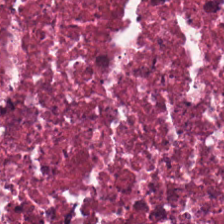H&E stain — Q: Classify this patch.
A: The field shows debris.
